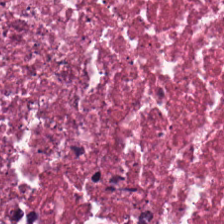Hematoxylin-and-eosin stained section. Impression → debris.
